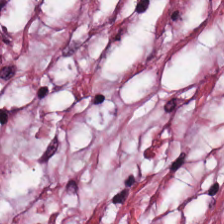Brightfield · hematoxylin and eosin — Predominantly tumor stroma.
